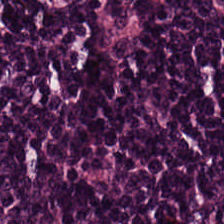Stain: H&E-stained tissue section.
Tissue: lymphocytic infiltrate.
